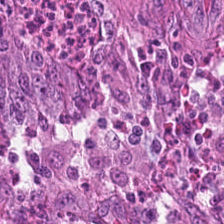H&E stain · 224×224 pixel tile — Q: Classify this patch.
A: The field shows colorectal adenocarcinoma.
